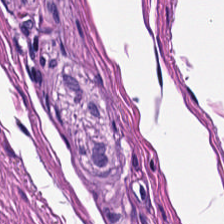224×224 px tile; hematoxylin-and-eosin stained section; whole-slide-image patch — {"tissue_type": "smooth muscle"}
